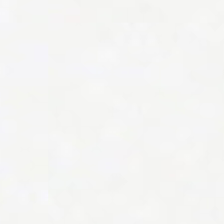FFPE tissue section. Hematoxylin-and-eosin stained section — Q: What is shown in this field?
A: This is empty background.
